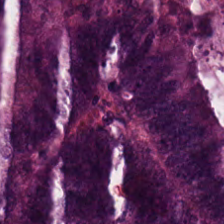The tissue class is colorectal adenocarcinoma.
